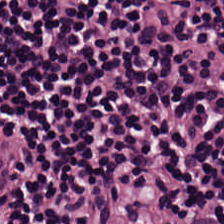H&E-stained tissue section — Classification: lymphoid infiltrate.
